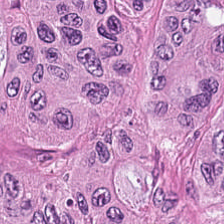H&E stain — Showing colorectal adenocarcinoma epithelium.
